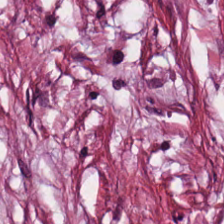224×224 pixel tile · hematoxylin-and-eosin stained section — {"tissue_type": "tumor stroma"}
